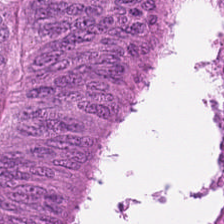H&E; 20× equivalent magnification. This patch shows adenocarcinoma.
